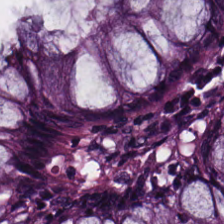H&E stain. 0.5 microns per pixel — This patch shows normal colonic mucosa.
